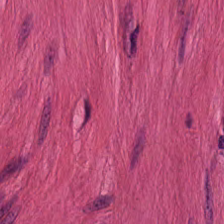0.5 microns per pixel · FFPE · H&E-stained tissue section — Muscularis.
